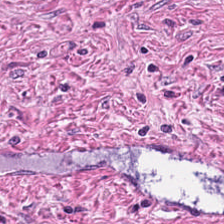20× equivalent magnification · H&E.
Classification = cancer-associated stroma.
